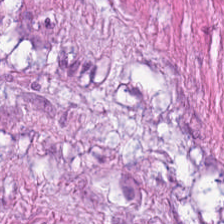H&E. The predominant tissue is muscularis.
